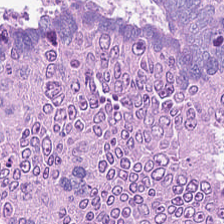FFPE. Hematoxylin-and-eosin stained section. Predominantly colorectal adenocarcinoma epithelium.
